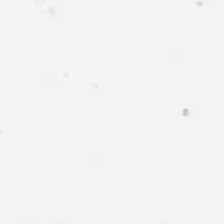Q: Classify this patch.
A: It is no tissue.
